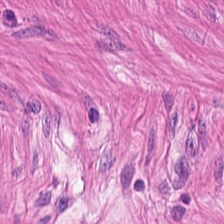Tissue type: smooth-muscle tissue.
